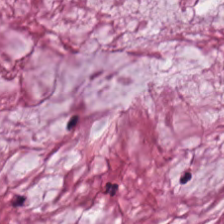Stain: hematoxylin and eosin.
Tissue class: extracellular mucin.
